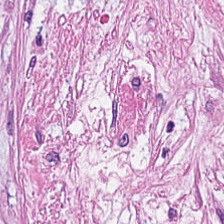Hematoxylin-and-eosin stained section · 224×224 px patch. Finding → tumor-associated stroma.
